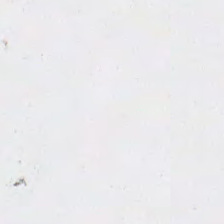H&E-stained tissue section — Histology → background (no tissue).
